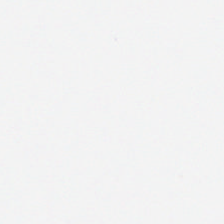Hematoxylin and eosin.
Content = empty background.
